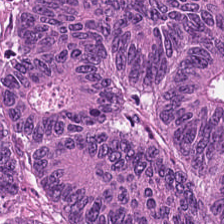FFPE; 0.5 µm per pixel; hematoxylin-and-eosin stained section — The predominant tissue is colorectal adenocarcinoma epithelium.
